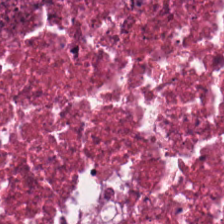FFPE · H&E-stained tissue section. Showing necrotic debris.
